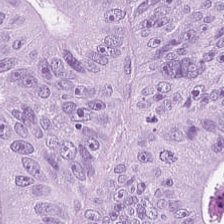FFPE; hematoxylin and eosin — Predominant tissue = colorectal adenocarcinoma.
